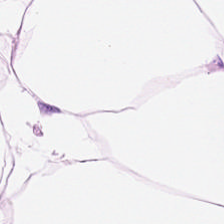H&E-stained tissue section. 0.5 µm per pixel — Tissue — adipose tissue.
